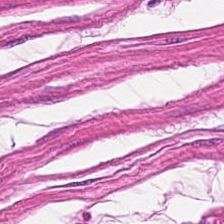{"tissue_type": "muscularis"}
